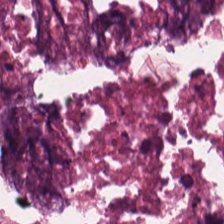Hematoxylin-and-eosin stained section. Brightfield microscopy. The tissue class is debris.
